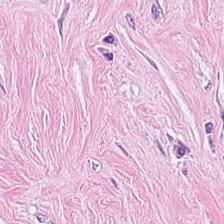H&E-stained tissue section. 224×224 px tile — Tissue: desmoplastic stroma.
